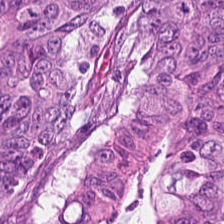H&E-stained tissue section; WSI patch. Q: Identify the tissue.
A: It is colorectal adenocarcinoma.
